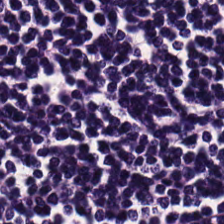Hematoxylin-and-eosin stained section. Tissue — lymphoid infiltrate.
